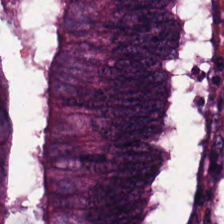224×224 px patch. H&E-stained tissue section. FFPE tissue section — Showing colorectal adenocarcinoma epithelium.
